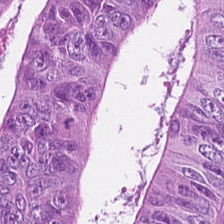FFPE tissue section · 0.5 µm per pixel · hematoxylin-and-eosin stained section. Tissue type: malignant epithelium.
